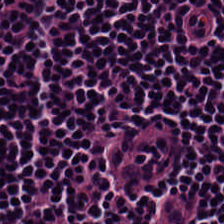H&E — This patch shows lymphoid infiltrate.
